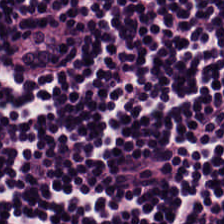H&E-stained tissue section. Q: What tissue type is shown here?
A: This is lymphocytes.
